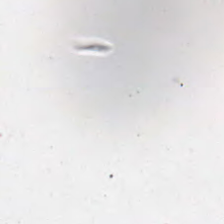Q: What does this patch show?
A: No tissue.
